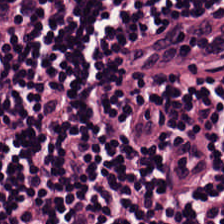Hematoxylin-and-eosin stained section. 20× equivalent magnification. This patch shows lymphocytes.
